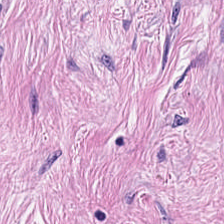Histology — desmoplastic stroma.
